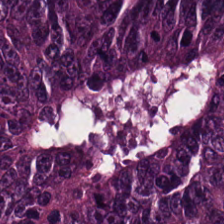Formalin-fixed paraffin-embedded section. H&E-stained tissue section. Q: What is shown in this field?
A: This is colorectal adenocarcinoma epithelium.
